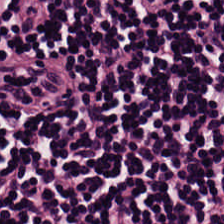H&E — lymphocytes.
